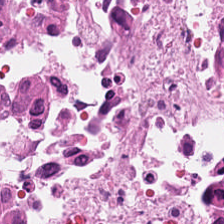Brightfield microscopy · H&E · 224×224 px tile.
Tissue class: debris.
